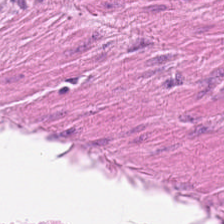Predominant tissue — smooth muscle.
